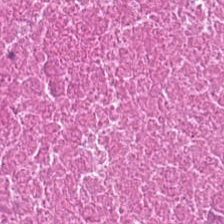Tissue class = cellular debris.
